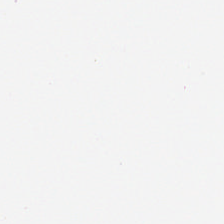Whole-slide-image patch. Hematoxylin-and-eosin stained section. FFPE — Histology → empty background.
